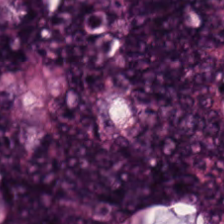Stain: hematoxylin-and-eosin stained section.
Acquisition: brightfield.
Predominant tissue: colorectal adenocarcinoma epithelium.
